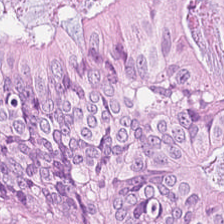224×224 pixel tile · hematoxylin-and-eosin stained section · brightfield microscopy.
Impression → colorectal adenocarcinoma.
